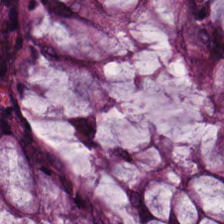H&E-stained tissue section showing benign colonic mucosa.
